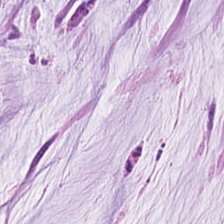H&E.
The classification is extracellular mucin.
